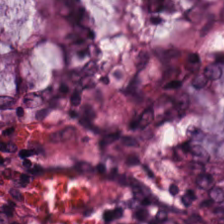224×224 px tile · WSI patch · hematoxylin and eosin.
This patch shows non-neoplastic colon mucosa.
